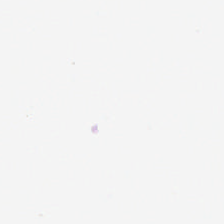Empty field — background.
